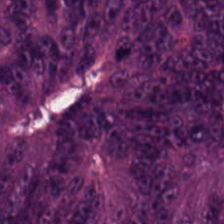This patch shows adenocarcinoma.
